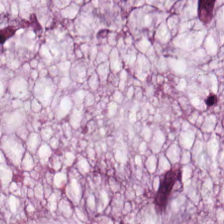Stain: hematoxylin and eosin.
Tile size: 224×224 px patch.
Preparation: FFPE.
Predominant tissue: mucin.
